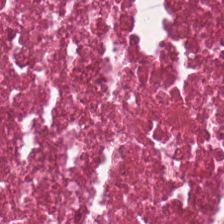0.5 microns per pixel. H&E. Q: What is the predominant tissue type?
A: Cellular debris.
